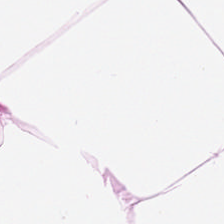Stain: H&E-stained tissue section.
Tissue: adipose.
